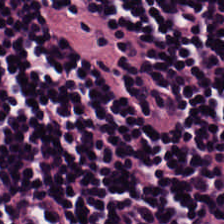H&E. 0.5 µm/px. Histology — lymphocyte aggregate.
